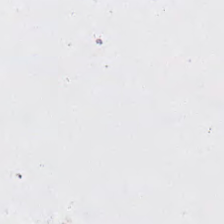No tissue present; background only.
